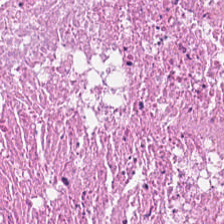Hematoxylin and eosin.
Q: What is shown in this field?
A: Necrotic debris.
